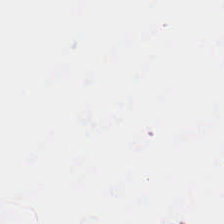H&E. The field content is background (no tissue).
